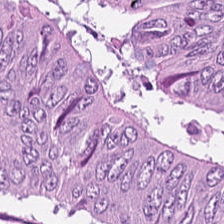20× equivalent magnification; H&E-stained tissue section; WSI patch. Q: Classify this patch.
A: The field shows adenocarcinoma.
